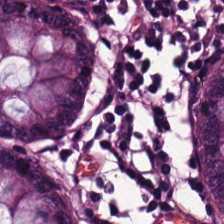0.5 microns per pixel. WSI patch. H&E — Showing non-neoplastic colon mucosa.
